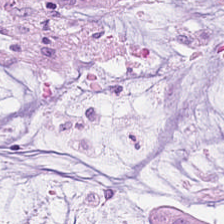H&E-stained tissue section. The tissue is mucin.
